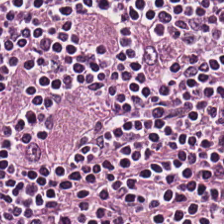Stain: H&E stain.
Tissue type: lymphocytic infiltrate.
